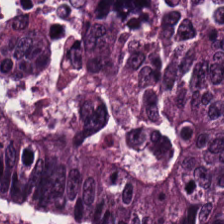224×224 pixel tile. Hematoxylin and eosin.
The tissue here is malignant epithelium.
